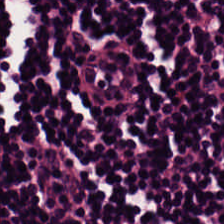H&E-stained tissue section; 224×224 pixel tile.
The predominant tissue is lymphoid infiltrate.
